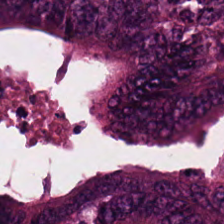0.5 microns per pixel; FFPE; H&E-stained tissue section. Showing colorectal adenocarcinoma.
